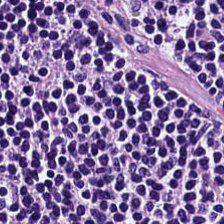0.5 µm/px; brightfield microscopy; H&E — Predominantly lymphocytes.
